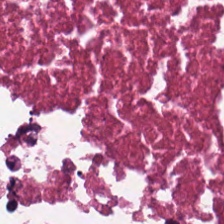224×224 pixel tile; H&E.
Showing cellular debris.
